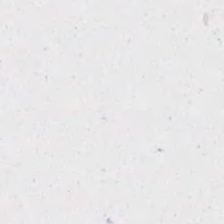H&E-stained tissue section — Field content: no tissue.
